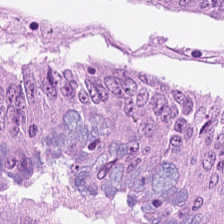Predominantly colorectal adenocarcinoma epithelium.
